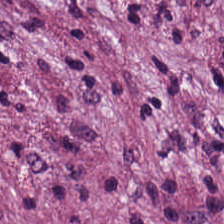H&E — The tissue is desmoplastic stroma.
